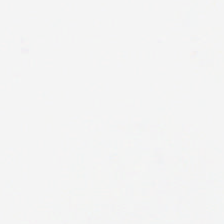0.5 µm/px · hematoxylin-and-eosin stained section.
The classification is no tissue.
